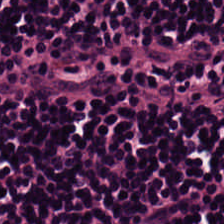Hematoxylin-and-eosin stained section.
The predominant tissue is lymphocytic infiltrate.
